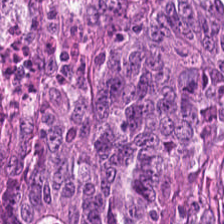H&E-stained tissue section. FFPE. WSI patch.
Q: What tissue is shown?
A: This is colorectal adenocarcinoma.
